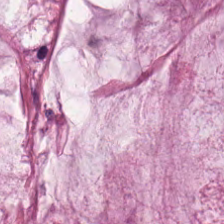0.5 µm/px; H&E stain. Tissue class = extracellular mucin.
